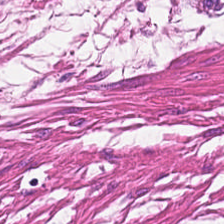Formalin-fixed paraffin-embedded section. 224×224 px patch. H&E. Tissue — smooth muscle.
